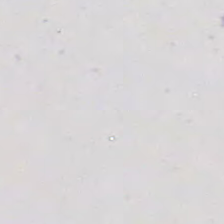H&E stain — Q: What does this patch show?
A: Empty background.
